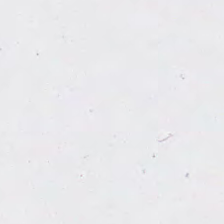Hematoxylin and eosin.
Content — background (no tissue).
